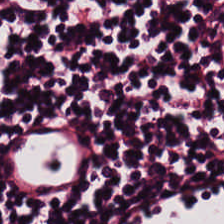H&E. Brightfield — This field is lymphocyte aggregate.
